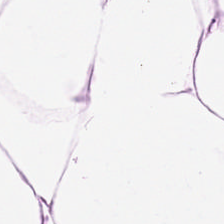Stain: H&E stain.
Acquisition: brightfield.
Tissue type: adipose tissue.
